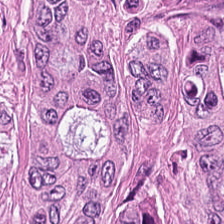0.5 µm per pixel · FFPE tissue section · H&E — This field is colorectal adenocarcinoma.
